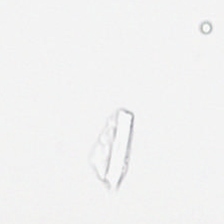The classification is background (no tissue).
